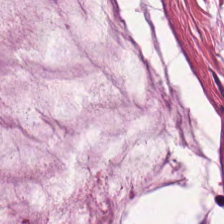Hematoxylin and eosin — Tissue class: mucin.
